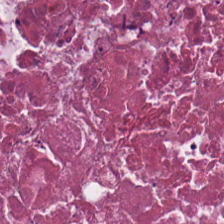H&E-stained tissue section — Tissue class = cellular debris.
